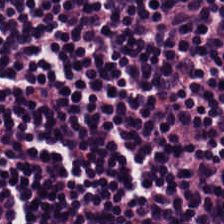The predominant tissue is lymphocyte aggregate.
